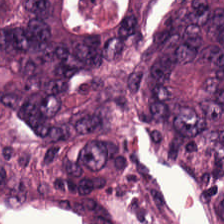H&E-stained tissue section. The predominant tissue is colorectal adenocarcinoma.
